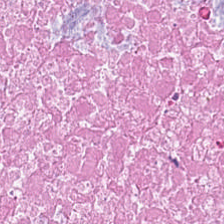H&E stain.
This patch shows cellular debris.
